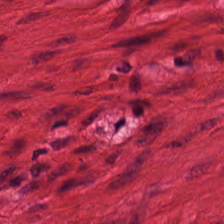H&E stain. 224×224 px patch. Predominantly smooth-muscle tissue.
